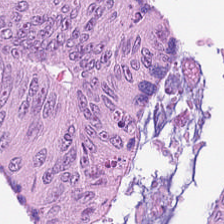Hematoxylin and eosin. Tissue type: colorectal adenocarcinoma epithelium.
